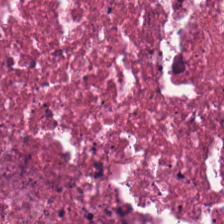0.5 µm per pixel · 224×224 px patch · H&E. This field is necrotic debris.
